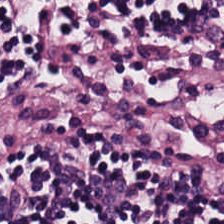H&E stain.
Tissue type — lymphocytes.
